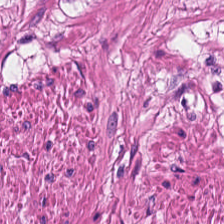H&E — The tissue here is smooth muscle.
